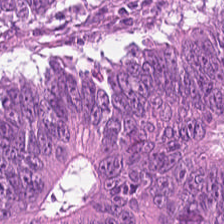Hematoxylin-and-eosin stained section. FFPE tissue section. Showing adenocarcinoma.
